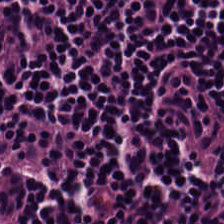Q: What tissue is shown?
A: The field shows lymphocyte aggregate.
